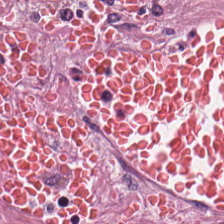H&E stain — This field is desmoplastic stroma.
